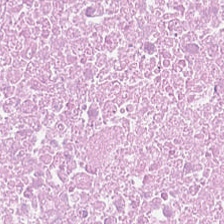Hematoxylin and eosin. WSI patch.
Predominantly necrotic debris.
